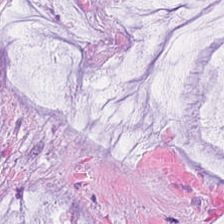H&E-stained section; the field shows mucin.
